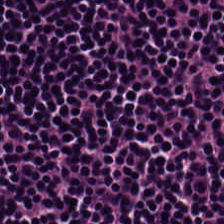H&E-stained tissue section. Predominant tissue: lymphocytic infiltrate.
